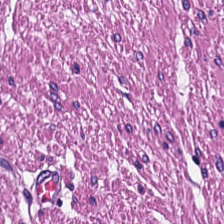Brightfield microscopy; hematoxylin-and-eosin stained section. Smooth-muscle tissue.
